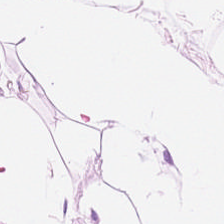Q: What is shown here?
A: The field shows adipose tissue.
